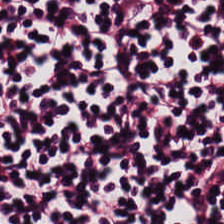Predominantly lymphocytes.
